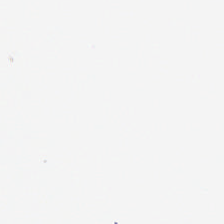0.5 µm per pixel · H&E stain · 224×224 pixel tile. Finding — no tissue.
